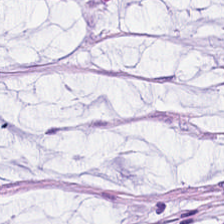Stain: H&E-stained tissue section.
Preparation: formalin-fixed paraffin-embedded section.
Acquisition: brightfield microscopy.
Tissue class: extracellular mucin.
